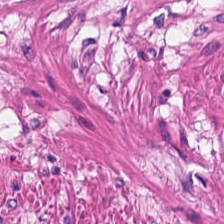Predominantly muscularis.
